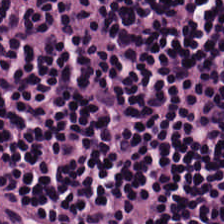Histology — lymphoid infiltrate.
